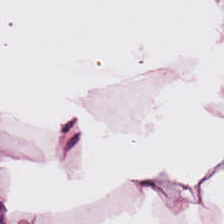Histology — adipocytes.
